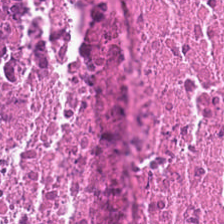Formalin-fixed paraffin-embedded section; hematoxylin-and-eosin stained section. The tissue is debris.
